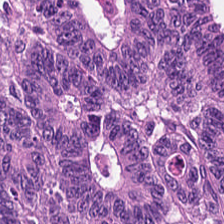224×224 px tile. Hematoxylin and eosin. FFPE.
Predominant tissue = colorectal adenocarcinoma epithelium.
